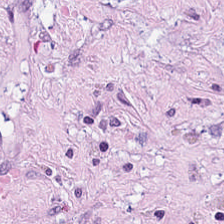Whole-slide-image patch · hematoxylin and eosin.
Tissue = tumor-associated stroma.
